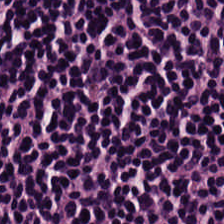H&E stain. The tissue here is lymphocyte aggregate.
